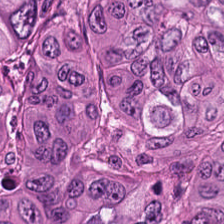Brightfield microscopy. H&E-stained tissue section.
Histology — adenocarcinoma.
